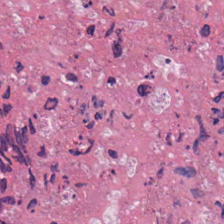Stain: hematoxylin-and-eosin stained section.
Acquisition: brightfield.
Tissue: necrotic debris.
